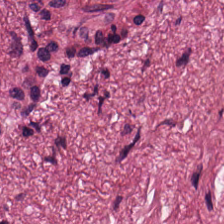H&E-stained tissue section. Tumor-associated stroma.
